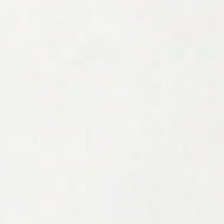Hematoxylin and eosin.
{"content": "background"}
